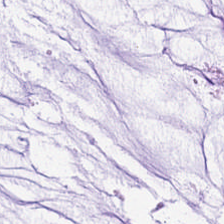Tissue type: mucus.
